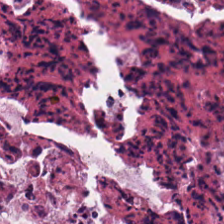Stain: H&E stain.
Predominant tissue: cellular debris.
